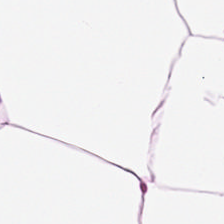Q: Identify the tissue.
A: It is adipose.
